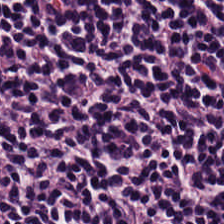Tissue — lymphocyte aggregate.
